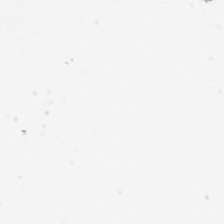224×224 px tile; hematoxylin and eosin.
Q: What is shown in this field?
A: The field shows no tissue.
